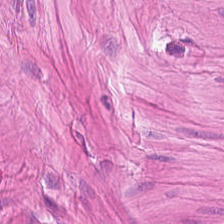H&E-stained tissue section — The classification is smooth-muscle tissue.
